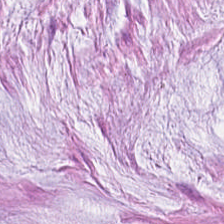H&E stain; 0.5 µm per pixel. The tissue here is mucus.
